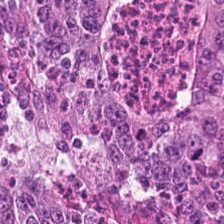H&E.
Q: What is shown here?
A: This is colorectal adenocarcinoma epithelium.
